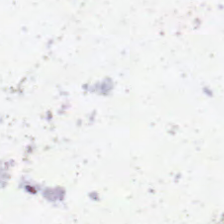H&E.
Empty field — background.
